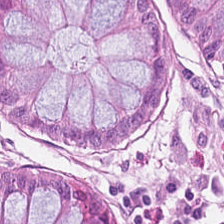H&E · 0.5 µm/px. The predominant tissue is non-neoplastic colon mucosa.
